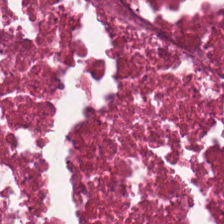0.5 microns per pixel; hematoxylin and eosin — This field is necrotic debris.
